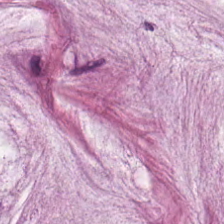Hematoxylin and eosin — This patch shows extracellular mucin.
